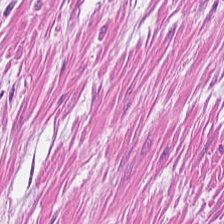H&E-stained tissue section.
Tissue = smooth muscle.
